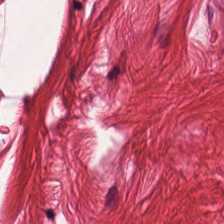H&E-stained tissue section — Q: What tissue is shown?
A: The field shows smooth muscle.
